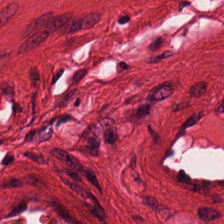The predominant tissue is smooth-muscle tissue.
